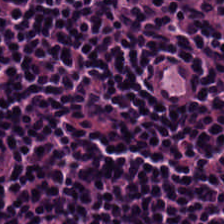Hematoxylin and eosin.
Lymphocytic infiltrate.
